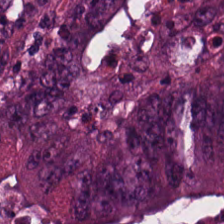Hematoxylin and eosin; 224×224 px tile; formalin-fixed paraffin-embedded section — {"tissue_type": "colorectal adenocarcinoma epithelium"}
